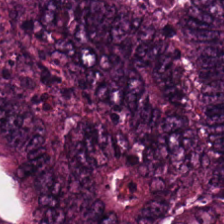H&E-stained tissue section — Q: What is the predominant tissue type?
A: It is tumor epithelium.
